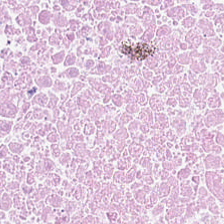H&E stain · 224×224 px tile. This field is cellular debris.
